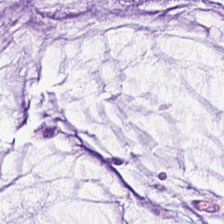Hematoxylin and eosin. Q: What does this patch show?
A: It is mucus.
